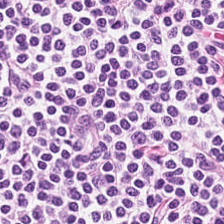Hematoxylin and eosin. Tissue = lymphocyte aggregate.
